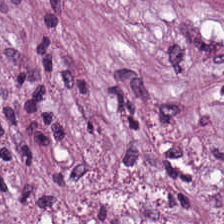H&E-stained tissue section.
This patch shows desmoplastic stroma.
